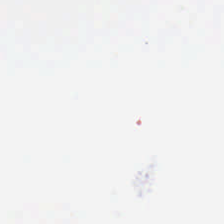H&E stain. Formalin-fixed paraffin-embedded section. 224×224 px patch — Background — no tissue in this field.
